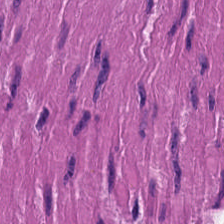Hematoxylin and eosin. WSI patch. Q: What tissue is shown?
A: This is muscularis.
